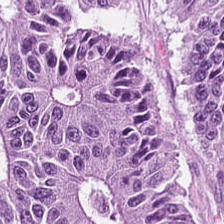The tissue type is colorectal adenocarcinoma epithelium.
